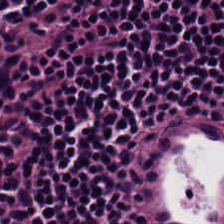Hematoxylin-and-eosin stained section — Predominantly lymphoid infiltrate.
